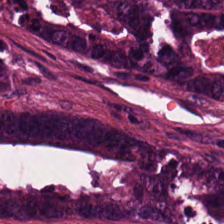H&E — The tissue class is tumor epithelium.
